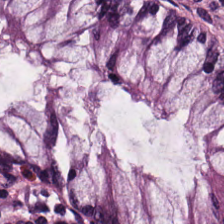The tissue class is normal colonic mucosa.
